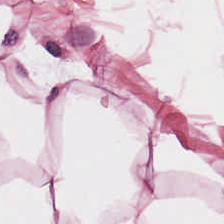The tissue here is adipocytes.
